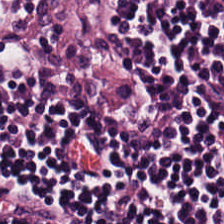0.5 microns per pixel. H&E stain — {"tissue_type": "lymphocyte aggregate"}
